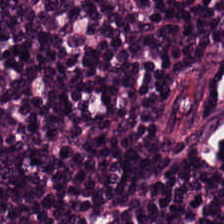H&E stain · 224×224 pixel tile.
Q: What is shown here?
A: The field shows lymphocyte aggregate.
